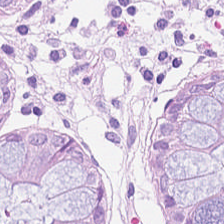H&E; WSI patch; FFPE.
{"tissue_type": "non-neoplastic colon mucosa"}
